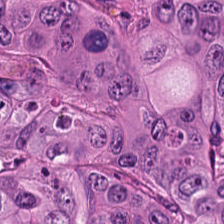Hematoxylin-and-eosin stained section; FFPE; whole-slide-image patch — The tissue class is adenocarcinoma.
